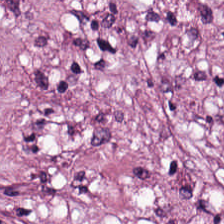Showing tumor stroma.
